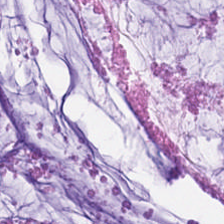Hematoxylin-and-eosin stained section — Tissue type — extracellular mucin.
